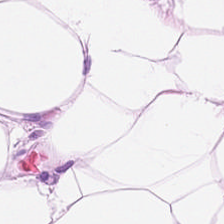224×224 pixel tile. H&E stain. The tissue type is adipocytes.
